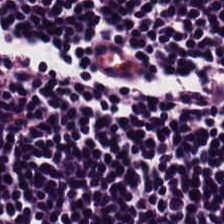Hematoxylin-and-eosin stained section; 224×224 px patch.
{"tissue_type": "lymphocytic infiltrate"}
